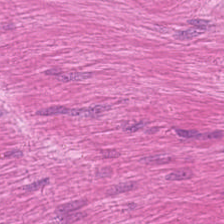The classification is smooth-muscle tissue.
